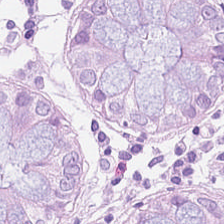H&E-stained tissue section showing normal colonic mucosa.
